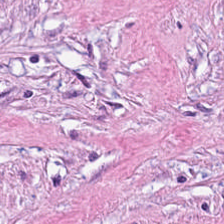H&E — Impression → desmoplastic stroma.
